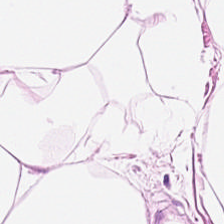H&E-stained tissue section.
This field is adipose tissue.
